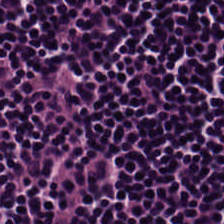Showing lymphocytic infiltrate.
